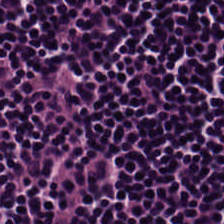Showing lymphocytic infiltrate.
